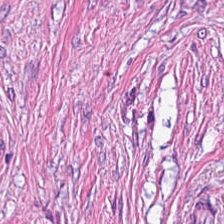Showing tumor-associated stroma.
